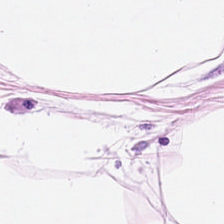Q: Classify this patch.
A: Fat tissue.
